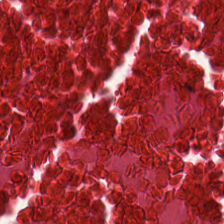H&E — Necrotic debris.
